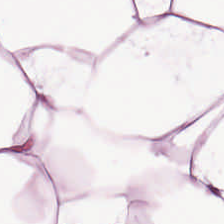H&E-stained tissue section — Finding → adipocytes.
